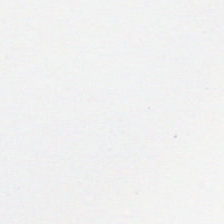Hematoxylin-and-eosin stained section. Formalin-fixed paraffin-embedded section — Empty field — empty background.
